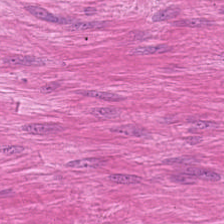Stain: H&E.
Resolution: 0.5 µm/px.
Tissue: smooth muscle.
